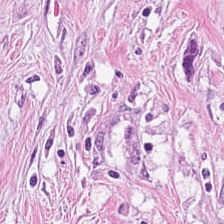H&E stain. Q: What is shown here?
A: Tumor-associated stroma.
